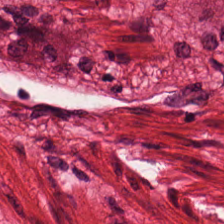H&E · WSI patch.
Tissue: smooth muscle.
